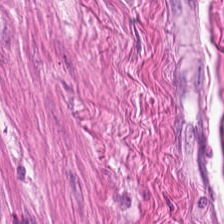H&E. Q: What type of tissue is this?
A: Smooth muscle.
